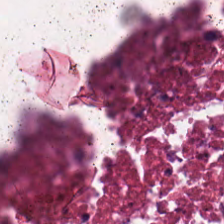FFPE; hematoxylin and eosin; brightfield microscopy.
This field is necrotic debris.
